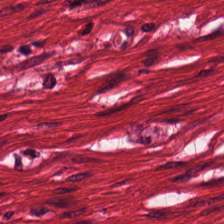Hematoxylin and eosin.
This patch shows muscularis.
